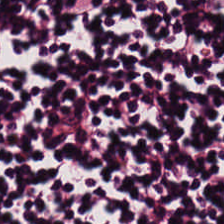This field is lymphocyte aggregate.
